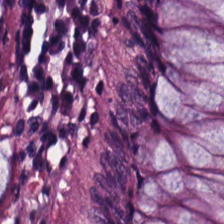Stain: H&E stain.
Tissue: non-neoplastic colon mucosa.
